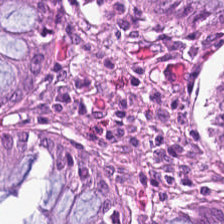H&E stain. Q: What is shown here?
A: The field shows normal colonic mucosa.
